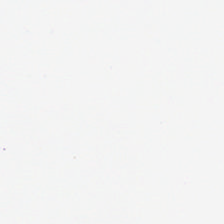Hematoxylin and eosin.
Background.
